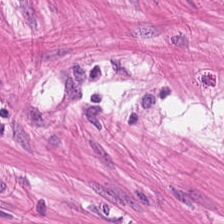Stain: hematoxylin and eosin.
Preparation: formalin-fixed paraffin-embedded section.
Predominant tissue: smooth muscle.
